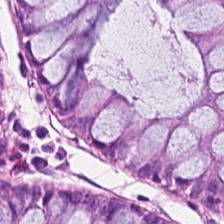H&E stain — This patch shows non-neoplastic colon mucosa.
